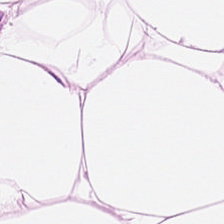Stain: H&E stain.
Tissue class: adipose.
